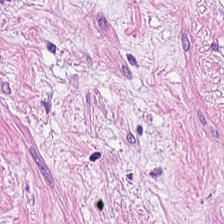FFPE tissue section · H&E · 224×224 px tile — This field is desmoplastic stroma.
